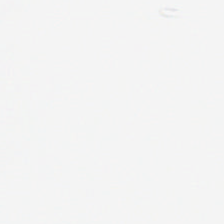The field content is background (no tissue).
